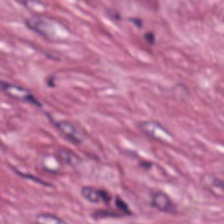Brightfield microscopy · hematoxylin-and-eosin stained section — Q: What is shown here?
A: Tumor-associated stroma.
